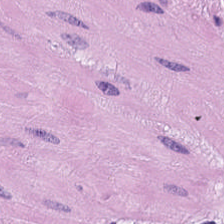H&E stain. Formalin-fixed paraffin-embedded section. Brightfield microscopy.
The tissue type is smooth muscle.
